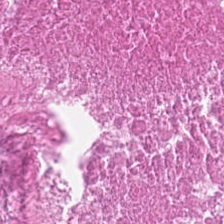Stain: H&E.
Classification: debris.
